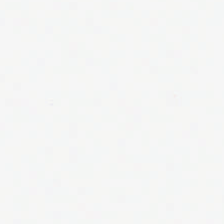Stain: hematoxylin-and-eosin stained section.
Content: no tissue.
